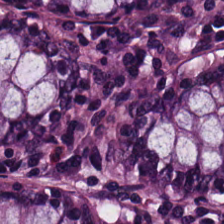Hematoxylin-and-eosin stained section · 224×224 px tile · whole-slide-image patch. Q: Identify the tissue.
A: The field shows normal colonic mucosa.
